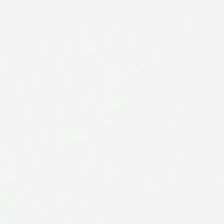H&E.
The field content is background.
